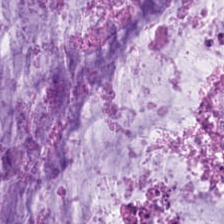Hematoxylin-and-eosin stained section · whole-slide-image patch · formalin-fixed paraffin-embedded section — Predominant tissue — mucin.
